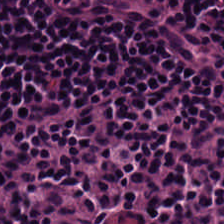Hematoxylin-and-eosin stained section. The tissue type is lymphocyte aggregate.
